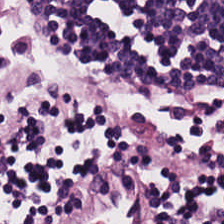Stain: H&E-stained tissue section.
Acquisition: whole-slide-image patch.
Predominant tissue: lymphocytes.
